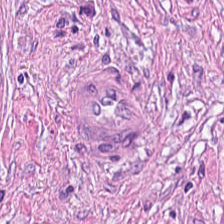20× equivalent magnification · H&E-stained tissue section. The predominant tissue is cancer-associated stroma.
